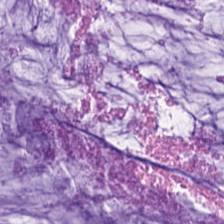H&E stain. Tissue class — mucin.
